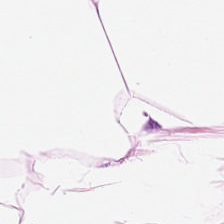Hematoxylin-and-eosin stained section. Tissue type = adipocytes.
